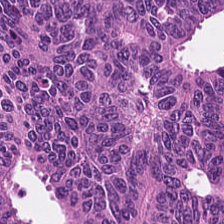Brightfield. Hematoxylin and eosin — Q: What is the predominant tissue type?
A: Adenocarcinoma.
